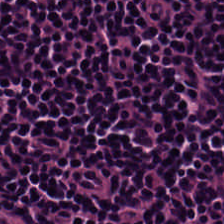Stain: H&E.
Tissue type: lymphoid infiltrate.
